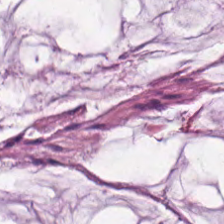H&E-stained tissue section. 20× equivalent magnification.
Impression — mucus.
